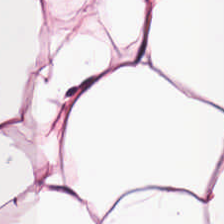H&E-stained tissue section — Finding — adipose tissue.
